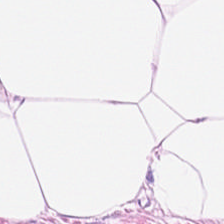H&E-stained tissue section. The tissue class is adipocytes.
